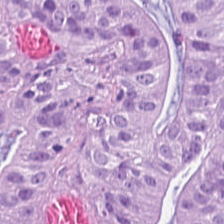Stain: H&E.
Tissue: colorectal adenocarcinoma.
